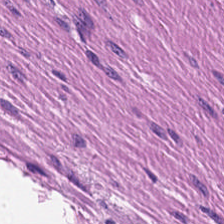Stain: H&E.
Acquisition: brightfield.
Predominant tissue: smooth-muscle tissue.
